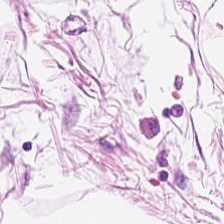20× equivalent magnification; 224×224 px tile; hematoxylin and eosin.
Tissue type = adipose.
